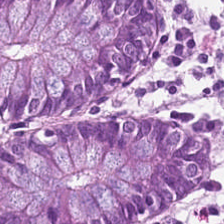H&E. WSI patch. Classification — benign colonic mucosa.
